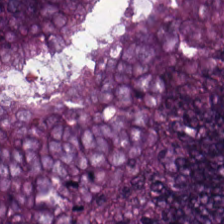H&E-stained tissue section · FFPE tissue section · whole-slide-image patch. Classification: malignant epithelium.
